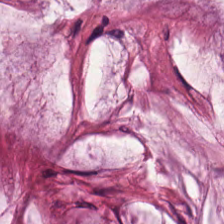H&E-stained tissue section showing extracellular mucin.
